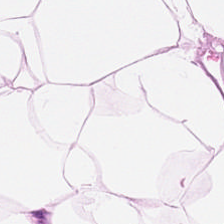Hematoxylin and eosin. Tissue = adipose.
